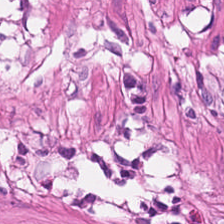Hematoxylin-and-eosin stained section. 224×224 pixel tile. Tissue type = smooth-muscle tissue.
